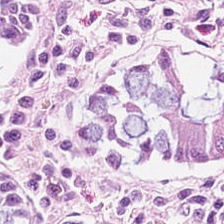20× equivalent magnification. H&E stain.
This field is normal colon mucosa.
